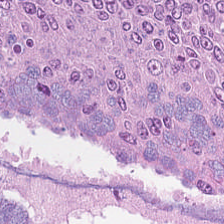Stain: H&E-stained tissue section.
Tile size: 224×224 px patch.
Resolution: 0.5 µm/px.
Tissue type: colorectal adenocarcinoma.
